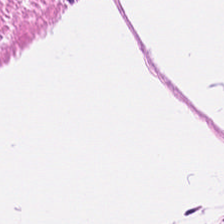The classification is smooth-muscle tissue.
